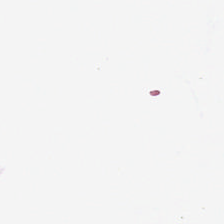Empty field — no tissue.
